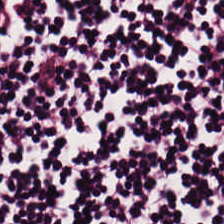0.5 µm per pixel · H&E stain · 224×224 px patch.
Showing lymphoid infiltrate.
